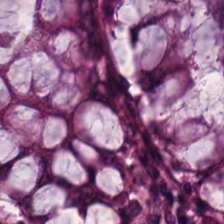H&E-stained tissue section · FFPE tissue section.
Impression — non-neoplastic colon mucosa.
